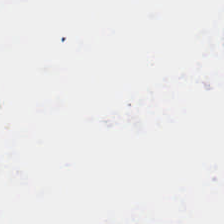H&E-stained tissue section. Content = empty background.
